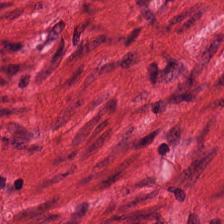Brightfield microscopy · H&E-stained tissue section. Muscularis.
